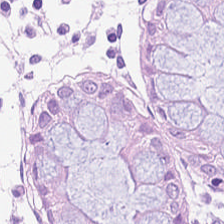H&E-stained tissue section. Non-neoplastic colon mucosa.
